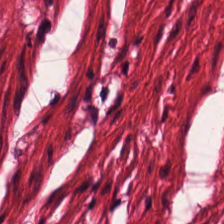224×224 px patch; hematoxylin and eosin; 0.5 µm/px. Tissue class = smooth muscle.
